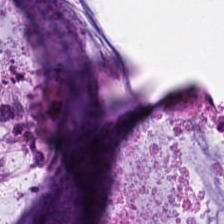Predominantly mucin.
